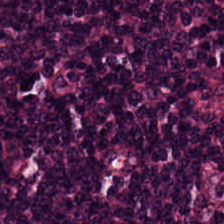H&E stain. 224×224 pixel tile — Tissue class: lymphocytes.
